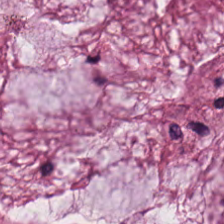FFPE tissue section; hematoxylin and eosin. The predominant tissue is mucus.
